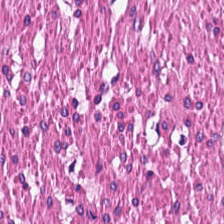Brightfield · H&E stain · FFPE tissue section — Tissue class: muscularis.
